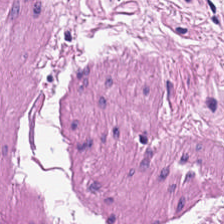This patch shows smooth-muscle tissue.
